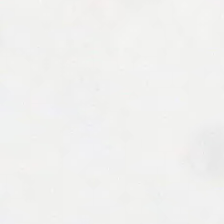H&E-stained tissue section.
Content = empty background.
